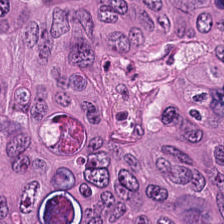FFPE tissue section. Hematoxylin-and-eosin stained section. Brightfield. The predominant tissue is malignant epithelium.
